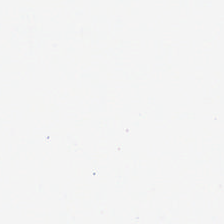FFPE tissue section. H&E — Q: Classify this patch.
A: It is no tissue.
